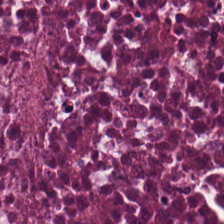H&E-stained tissue section — Tissue class — cellular debris.
